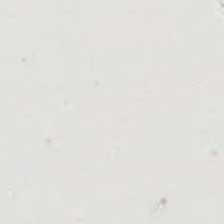Hematoxylin-and-eosin stained section.
Background — no tissue in this field.
